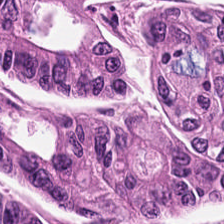Whole-slide-image patch · hematoxylin and eosin · 224×224 px patch. Predominant tissue = tumor epithelium.
